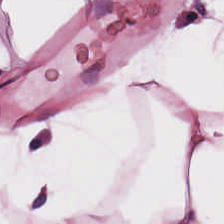H&E-stained tissue section.
{"tissue_type": "adipose"}
